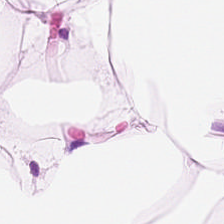0.5 µm per pixel · H&E-stained tissue section — This field is adipocytes.
